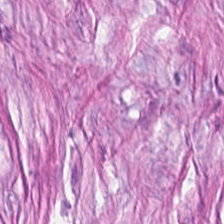H&E stain.
This field is cancer-associated stroma.
